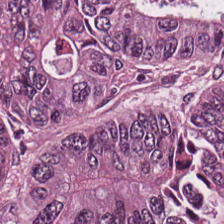224×224 pixel tile. H&E stain. 20× equivalent magnification. Q: What tissue type is shown here?
A: Colorectal adenocarcinoma epithelium.
